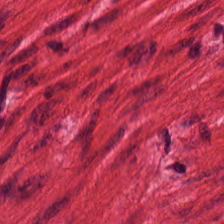Tissue type = smooth-muscle tissue.
